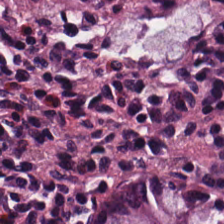H&E — This patch shows normal colonic mucosa.
